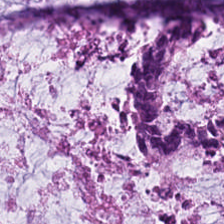Q: Classify this patch.
A: The field shows mucin.
